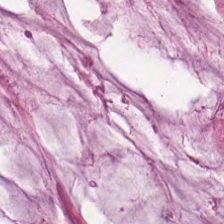Hematoxylin-and-eosin stained section.
This patch shows extracellular mucin.
